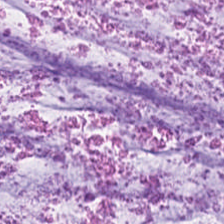Hematoxylin and eosin — Classification = extracellular mucin.
